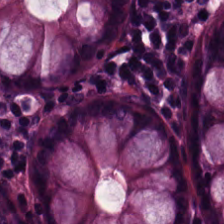H&E. 224×224 px patch.
{"tissue_type": "normal colonic mucosa"}
